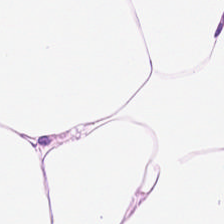H&E; brightfield.
Predominantly adipocytes.
